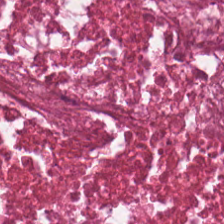H&E; 20× equivalent magnification — The predominant tissue is cellular debris.
